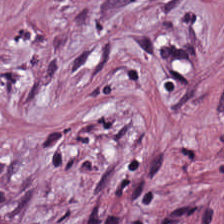Hematoxylin-and-eosin section: tumor stroma.
